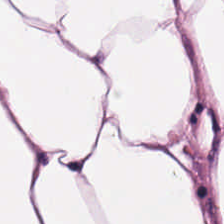The tissue class is adipose.
